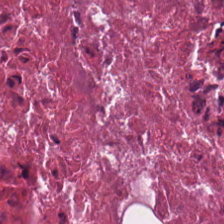FFPE tissue section. 224×224 px tile. H&E stain. Tissue type = cellular debris.
